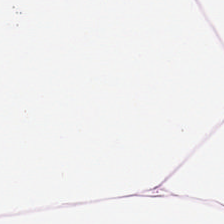H&E-stained tissue section. Brightfield microscopy. Formalin-fixed paraffin-embedded section. This field is adipose tissue.
